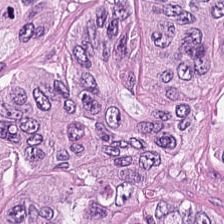H&E — tumor epithelium.
